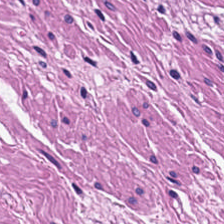Hematoxylin and eosin. Q: What tissue type is shown here?
A: It is smooth muscle.
